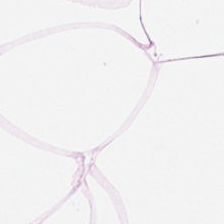0.5 µm/px · hematoxylin-and-eosin stained section.
The tissue class is adipose.
